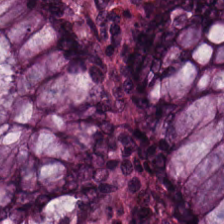FFPE tissue section · 224×224 px tile · H&E-stained tissue section — Q: What is the predominant tissue type?
A: It is benign colonic mucosa.
